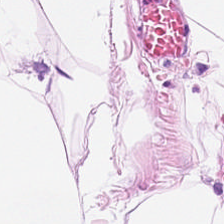Stain: hematoxylin-and-eosin stained section.
Tissue: adipose.
